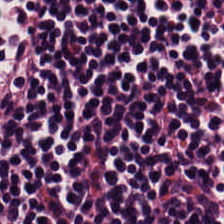H&E. The tissue here is lymphocytes.
